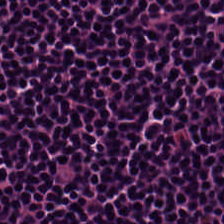H&E · 0.5 µm per pixel. Predominantly lymphoid infiltrate.
